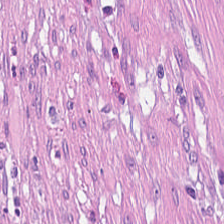H&E stain. Brightfield — Finding → tumor stroma.
